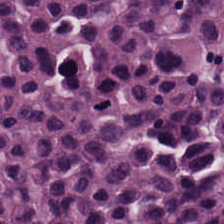0.5 µm/px · FFPE tissue section · hematoxylin and eosin. Predominant tissue — lymphocytes.
